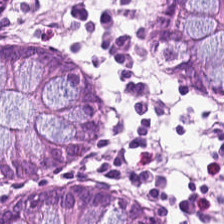FFPE tissue section; 224×224 px tile; hematoxylin-and-eosin stained section. This field is non-neoplastic colon mucosa.
